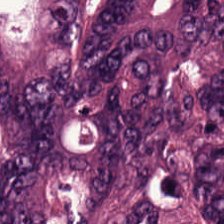H&E — Finding → adenocarcinoma.
